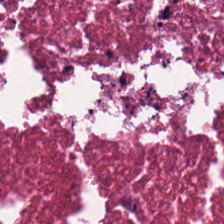Hematoxylin-and-eosin stained section — {"tissue_type": "debris"}
